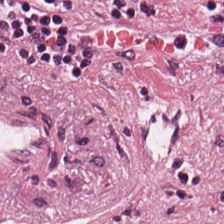H&E. Q: What does this patch show?
A: This is tumor-associated stroma.
